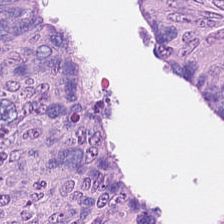Tissue — malignant epithelium.
